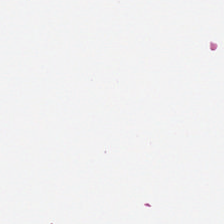Stain: H&E.
Field content: empty background.
